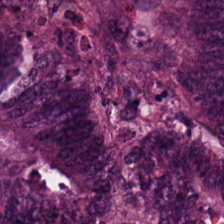Hematoxylin and eosin.
Impression → colorectal adenocarcinoma epithelium.
